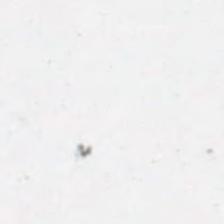Background.
